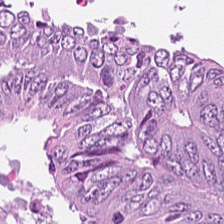Q: What does this patch show?
A: The field shows tumor epithelium.
